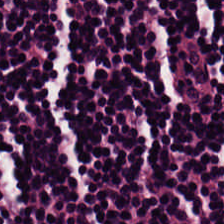Hematoxylin-and-eosin stained section. Classification — lymphocyte aggregate.
